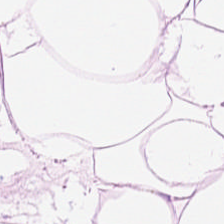H&E.
{"tissue_type": "adipose"}
